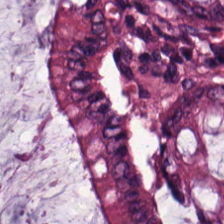0.5 µm per pixel · H&E-stained tissue section. Showing benign colonic mucosa.
